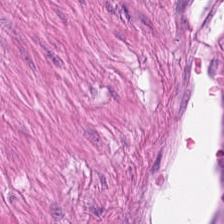224×224 px patch · H&E-stained tissue section — The tissue class is smooth muscle.
